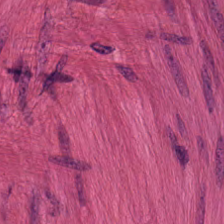Showing smooth muscle.
